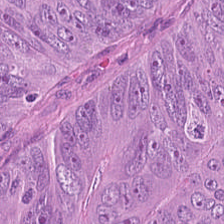0.5 µm per pixel; H&E.
{"tissue_type": "tumor epithelium"}
